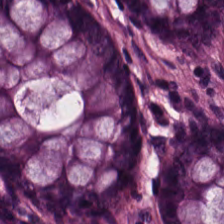Predominantly non-neoplastic colon mucosa.
